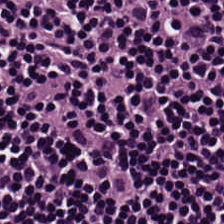Hematoxylin-and-eosin stained section · 0.5 µm per pixel · brightfield microscopy. The tissue here is lymphocytic infiltrate.
